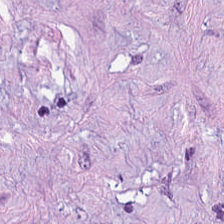Hematoxylin and eosin. The tissue is tumor stroma.
